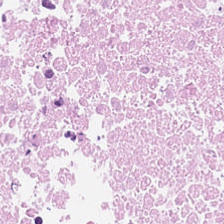H&E. The tissue type is necrotic debris.
